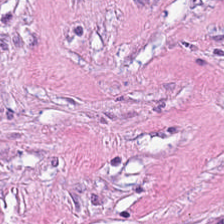224×224 pixel tile; H&E-stained tissue section. The tissue here is tumor-associated stroma.
